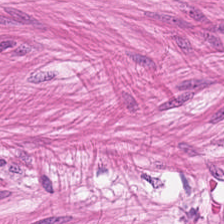Classification: smooth muscle.
